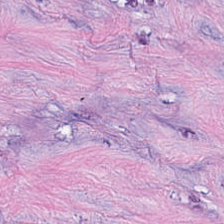This field is tumor stroma.
